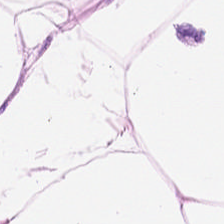H&E-stained tissue section — Finding — fat tissue.
